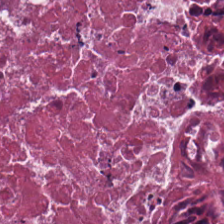Stain: hematoxylin-and-eosin stained section.
Preparation: FFPE tissue section.
Tissue: cellular debris.
